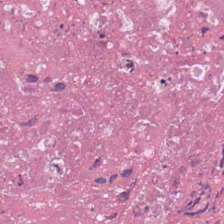Hematoxylin-and-eosin stained section · 0.5 µm/px. {"tissue_type": "necrotic debris"}
